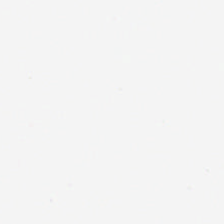H&E-stained tissue section · FFPE tissue section · 224×224 pixel tile — Classification — background.
